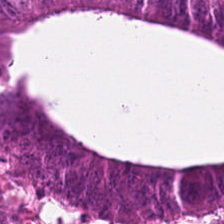224×224 pixel tile. H&E.
Q: Identify the tissue.
A: This is colorectal adenocarcinoma.
